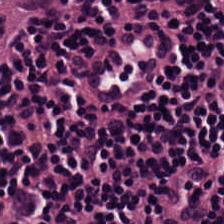The tissue here is lymphoid infiltrate.
